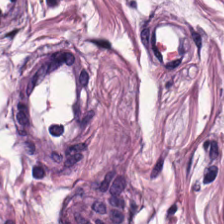H&E stain. Finding — smooth muscle.
